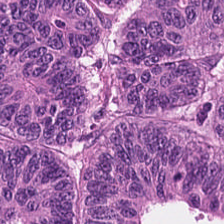Q: What is shown here?
A: It is adenocarcinoma.
